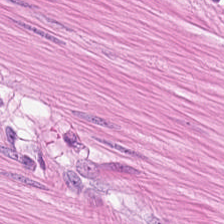H&E-stained tissue section.
Predominant tissue: smooth muscle.
